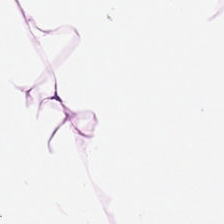Stain: hematoxylin-and-eosin stained section.
Resolution: 0.5 microns per pixel.
Predominant tissue: adipocytes.
